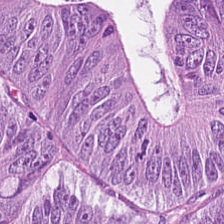Stain: H&E.
Preparation: FFPE tissue section.
Acquisition: brightfield microscopy.
Tissue type: colorectal adenocarcinoma epithelium.
